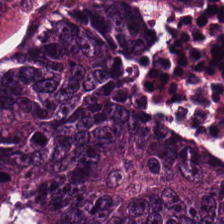FFPE. WSI patch. Hematoxylin-and-eosin stained section.
The predominant tissue is adenocarcinoma.
